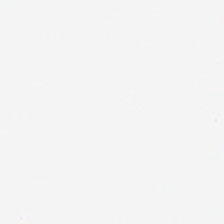H&E; 224×224 px patch. Field content: background (no tissue).
